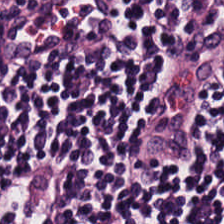Tissue class = lymphoid infiltrate.
